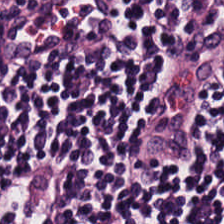Tissue class = lymphoid infiltrate.
